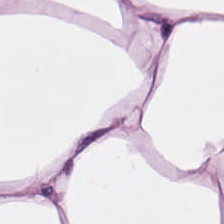0.5 microns per pixel. 224×224 px tile. H&E.
Classification: adipose tissue.
